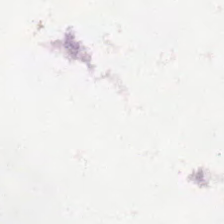20× equivalent magnification. FFPE tissue section. H&E.
Finding — background (no tissue).
